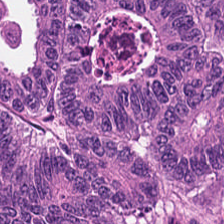H&E-stained tissue section showing adenocarcinoma.
